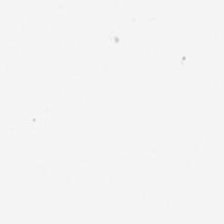H&E — This patch shows no tissue.
